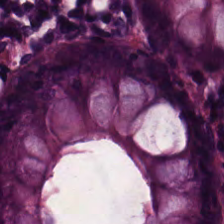Hematoxylin-and-eosin stained section.
Tissue type — non-neoplastic colon mucosa.
